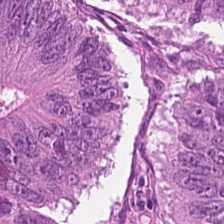H&E stain. Whole-slide-image patch.
{"tissue_type": "colorectal adenocarcinoma epithelium"}
